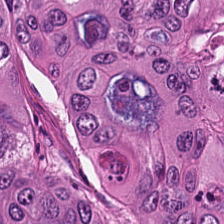Hematoxylin-and-eosin stained section. Predominant tissue — tumor epithelium.
